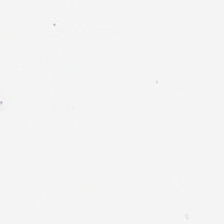H&E — Field content: empty background.
